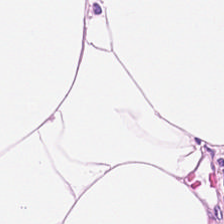H&E. Whole-slide-image patch — This field is fat tissue.
